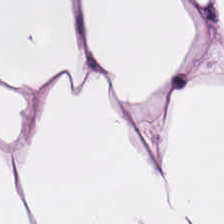FFPE · H&E — Tissue = adipose tissue.
